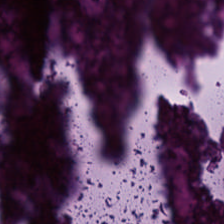H&E. FFPE tissue section — Q: What does this patch show?
A: The field shows debris.
